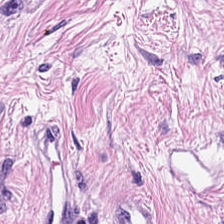Hematoxylin-and-eosin stained section — Finding → tumor-associated stroma.
